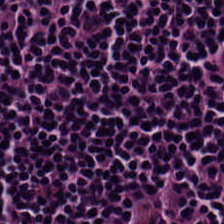H&E · 20× equivalent magnification. Predominantly lymphocyte aggregate.
